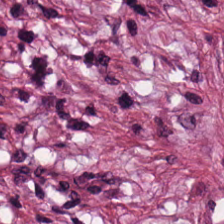Stain: H&E.
Tissue class: tumor-associated stroma.
